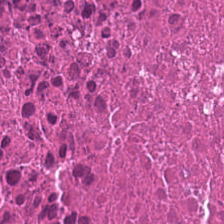H&E stain · formalin-fixed paraffin-embedded section. Q: What does this patch show?
A: Debris.
